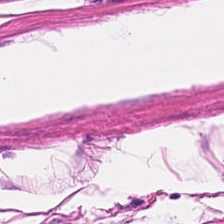H&E. Predominantly muscularis.
